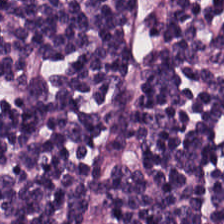Hematoxylin-and-eosin stained section. Q: What tissue is shown?
A: This is lymphocytes.
